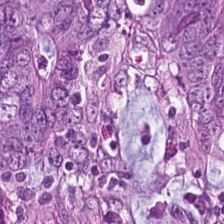Stain: H&E stain.
Preparation: FFPE tissue section.
Resolution: 20× equivalent magnification.
Tissue: tumor epithelium.
